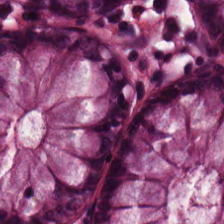Hematoxylin and eosin. FFPE.
This patch shows normal colonic mucosa.
